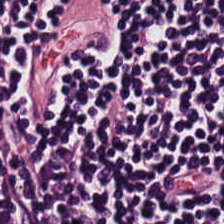H&E; 224×224 pixel tile. Impression → lymphoid infiltrate.
